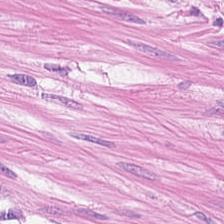Stain: hematoxylin-and-eosin stained section.
Tissue class: muscularis.
